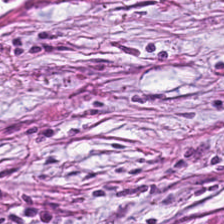H&E.
Showing tumor stroma.
